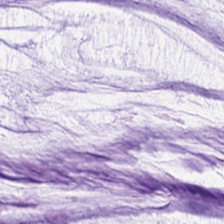Hematoxylin and eosin; 0.5 µm per pixel — This field is extracellular mucin.
